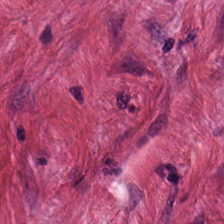Stain: hematoxylin-and-eosin stained section.
Predominant tissue: tumor stroma.
